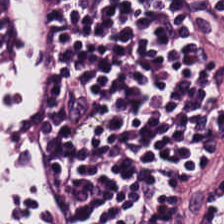Hematoxylin-and-eosin section: lymphocytes.
